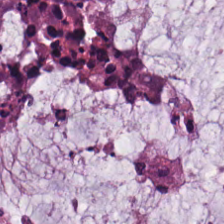Hematoxylin-and-eosin stained section — Predominant tissue = extracellular mucin.
